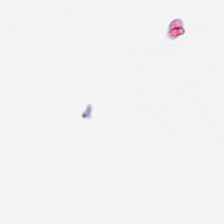Impression — empty background.
